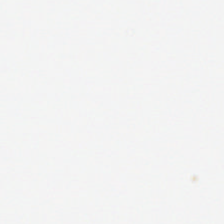Hematoxylin and eosin. 0.5 µm per pixel. Background.
